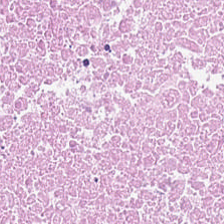Hematoxylin-and-eosin section: necrotic debris.
